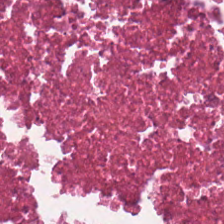H&E-stained tissue section. Q: What type of tissue is this?
A: Debris.
